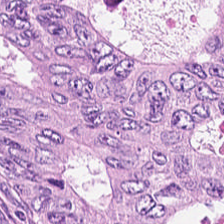H&E.
{"tissue_type": "tumor epithelium"}
